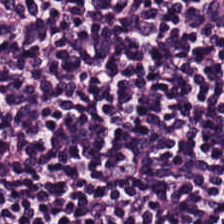WSI patch; hematoxylin and eosin.
The predominant tissue is lymphoid infiltrate.
